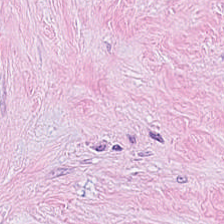H&E-stained tissue section. FFPE. 0.5 µm/px.
This field is desmoplastic stroma.
